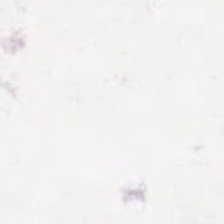H&E stain — Field content = no tissue.
